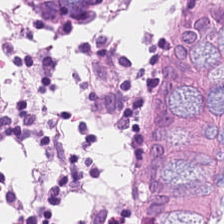Predominant tissue = normal colon mucosa.
